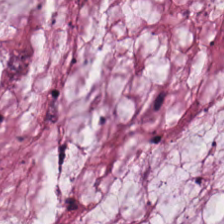Hematoxylin and eosin. FFPE. {"tissue_type": "extracellular mucin"}
